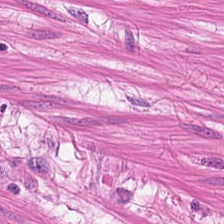Stain: hematoxylin-and-eosin stained section.
Tissue class: muscularis.
